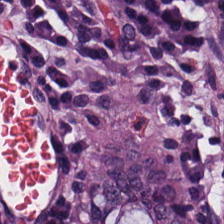Stain: hematoxylin and eosin.
Tissue class: benign colonic mucosa.
